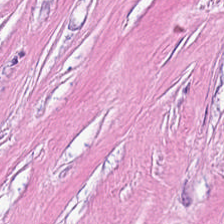Q: What tissue type is shown here?
A: This is tumor stroma.
